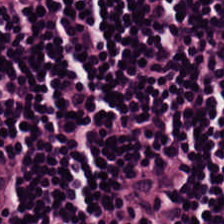H&E-stained tissue section; 0.5 µm per pixel; 224×224 px tile. This field is lymphoid infiltrate.
